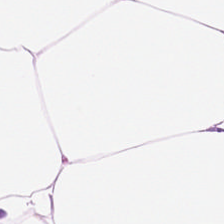Stain: hematoxylin-and-eosin stained section.
Preparation: formalin-fixed paraffin-embedded section.
Tissue type: adipose.
